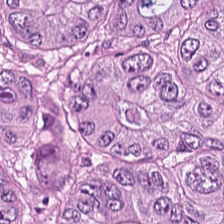H&E-stained tissue section. Tissue — colorectal adenocarcinoma.
